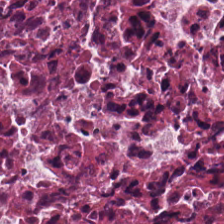Hematoxylin and eosin · 224×224 pixel tile. Classification — cellular debris.
